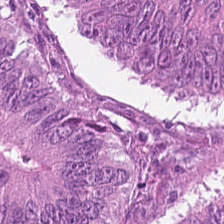Stain: H&E stain.
Acquisition: whole-slide-image patch.
Tissue class: adenocarcinoma.
